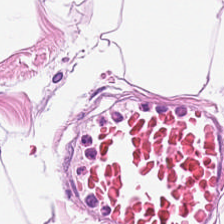Stain: H&E.
Resolution: 20× equivalent magnification.
Tissue class: fat tissue.
